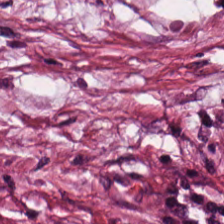Formalin-fixed paraffin-embedded section; H&E stain; 0.5 µm/px — Q: What type of tissue is this?
A: It is tumor stroma.
